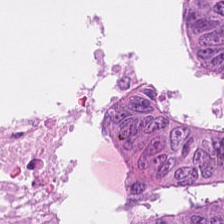224×224 px patch. Hematoxylin and eosin. Brightfield microscopy.
Colorectal adenocarcinoma.
